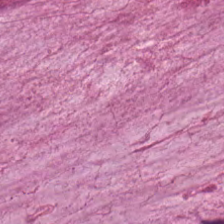Hematoxylin and eosin.
The tissue here is mucus.
